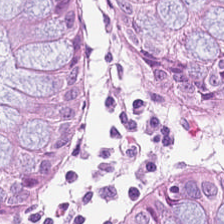Predominant tissue = benign colonic mucosa.
